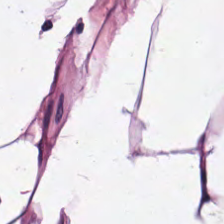20× equivalent magnification. H&E — Predominant tissue: adipocytes.
